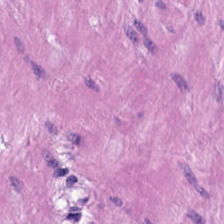H&E. 0.5 µm/px. Tissue type — smooth-muscle tissue.
